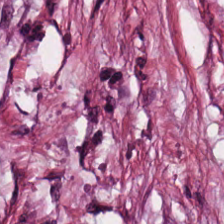H&E.
Showing cancer-associated stroma.
